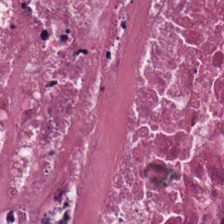Tissue class: cellular debris.
